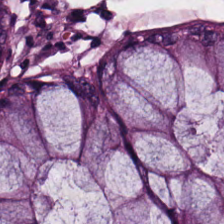H&E-stained tissue section. 224×224 px patch — Q: What does this patch show?
A: Normal colon mucosa.
